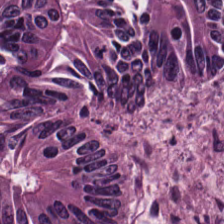Formalin-fixed paraffin-embedded section; H&E-stained tissue section — {"tissue_type": "tumor epithelium"}
